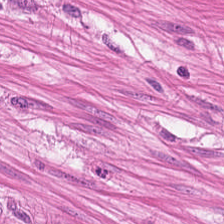H&E-stained section; the field shows smooth-muscle tissue.
